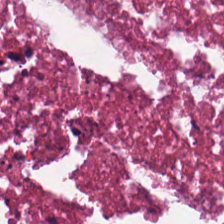Stain: hematoxylin-and-eosin stained section.
Acquisition: brightfield.
Classification: necrotic debris.
